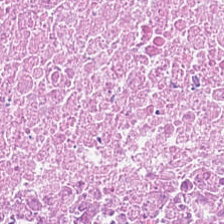20× equivalent magnification. Whole-slide-image patch. Hematoxylin and eosin.
The classification is necrotic debris.
